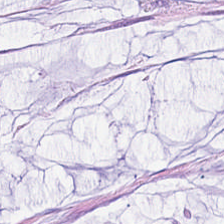Impression — mucus.
